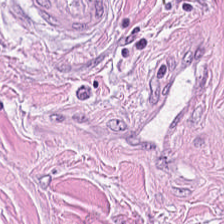H&E-stained tissue section.
The tissue here is tumor stroma.
